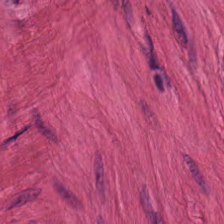0.5 µm per pixel. H&E-stained tissue section.
This patch shows smooth muscle.
